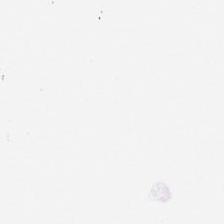H&E · brightfield.
This patch shows background (no tissue).
